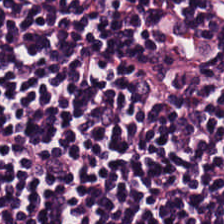H&E stain; formalin-fixed paraffin-embedded section.
Q: What does this patch show?
A: The field shows lymphocytes.
